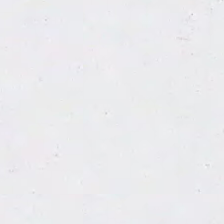Whole-slide-image patch · 20× equivalent magnification · H&E-stained tissue section. {"content": "empty background"}
